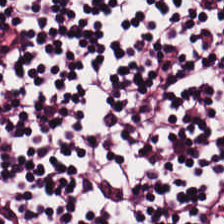Hematoxylin and eosin — Predominantly lymphoid infiltrate.
